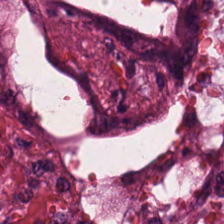WSI patch. 224×224 px tile. H&E-stained tissue section.
Predominantly cellular debris.
